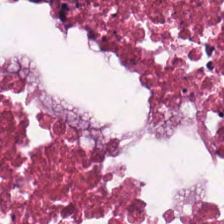Impression → debris.
